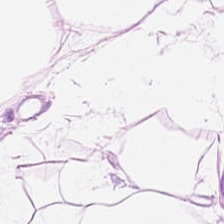0.5 µm/px. Brightfield microscopy. Hematoxylin and eosin — This patch shows adipose tissue.
